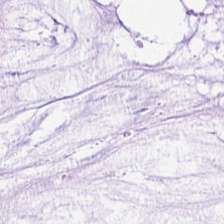{"tissue_type": "mucus"}
